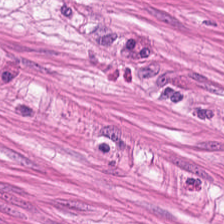Hematoxylin and eosin. 224×224 pixel tile — {"tissue_type": "muscularis"}
